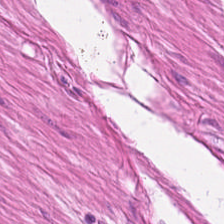Predominantly muscularis.
